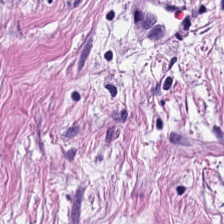H&E — This patch shows cancer-associated stroma.
